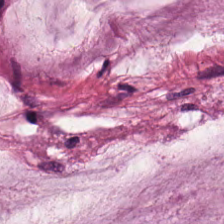H&E-stained tissue section · whole-slide-image patch · 0.5 µm/px. Tissue type: mucin.
